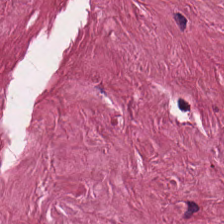Hematoxylin and eosin — This patch shows desmoplastic stroma.
